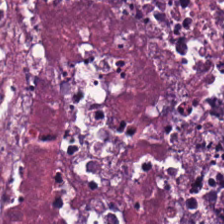H&E-stained tissue section · 224×224 px tile.
The predominant tissue is necrotic debris.
